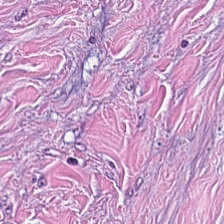Histology — desmoplastic stroma.
